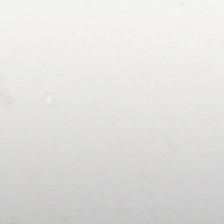H&E stain. Formalin-fixed paraffin-embedded section. 224×224 pixel tile.
Content: background.
